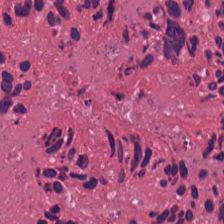Hematoxylin-and-eosin stained section.
Q: What is shown here?
A: This is necrotic debris.
